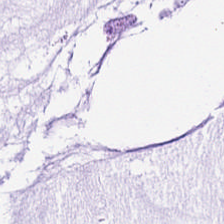Stain: hematoxylin-and-eosin stained section.
Tile size: 224×224 px patch.
Acquisition: WSI patch.
Tissue type: extracellular mucin.
